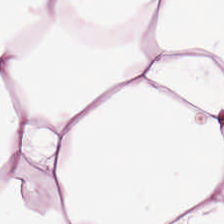Hematoxylin-and-eosin stained section · FFPE. Tissue class: adipose tissue.
